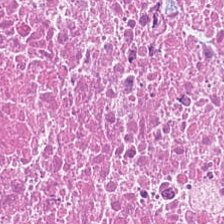Hematoxylin and eosin · 0.5 µm per pixel. The predominant tissue is necrotic debris.
